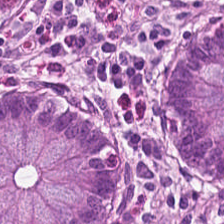Hematoxylin-and-eosin stained section. The tissue here is normal colonic mucosa.
